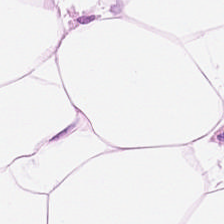H&E-stained tissue section; 224×224 px patch — Q: What is the predominant tissue type?
A: Adipose tissue.
